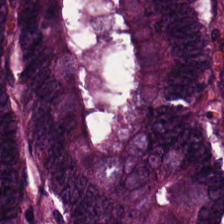WSI patch. H&E-stained tissue section — Tissue: adenocarcinoma.
